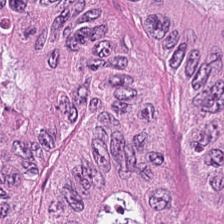The classification is malignant epithelium.
